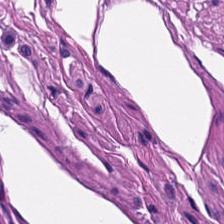H&E.
Predominant tissue: muscularis.
